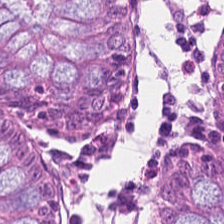Hematoxylin-and-eosin stained section. 224×224 px patch.
This patch shows benign colonic mucosa.
